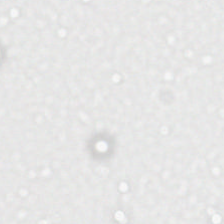Hematoxylin and eosin; brightfield; 224×224 pixel tile.
Impression — background (no tissue).
